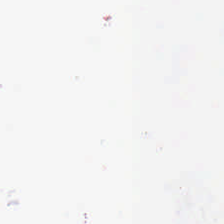Hematoxylin and eosin. 0.5 microns per pixel.
This patch shows background (no tissue).
